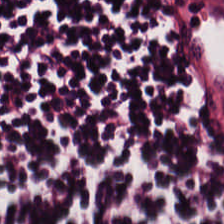Hematoxylin and eosin — Impression — lymphocytic infiltrate.
